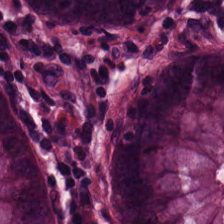224×224 px tile. H&E — Tissue type — benign colonic mucosa.
